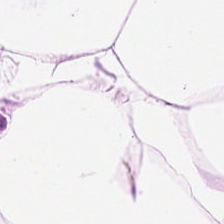224×224 px patch · hematoxylin-and-eosin stained section · FFPE tissue section — Q: What tissue type is shown here?
A: Fat tissue.
